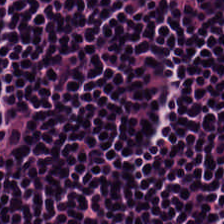Tissue class — lymphocytes.
